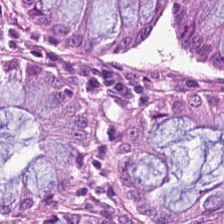H&E-stained tissue section.
Tissue — non-neoplastic colon mucosa.
